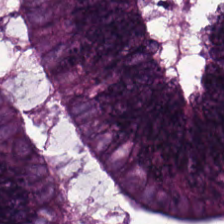224×224 pixel tile. H&E stain — Histology → colorectal adenocarcinoma epithelium.
